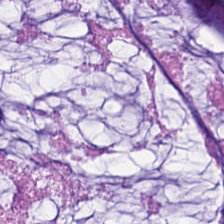The predominant tissue is mucus.
